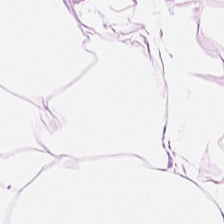Tissue: fat tissue.
